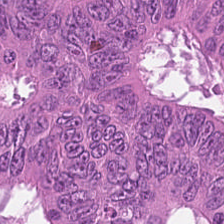H&E-stained tissue section. {"tissue_type": "adenocarcinoma"}
